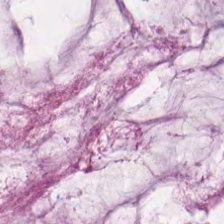{"tissue_type": "mucin"}
